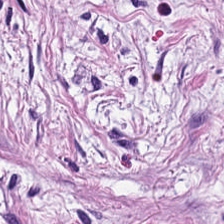H&E-stained tissue section. 224×224 px tile. FFPE tissue section. This field is tumor stroma.
